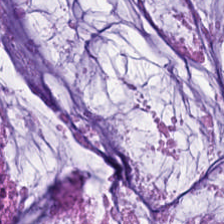Stain: hematoxylin-and-eosin stained section.
Tissue class: extracellular mucin.
